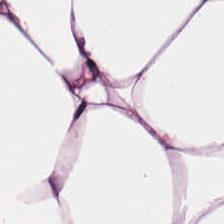Stain: H&E.
Tissue: fat tissue.
